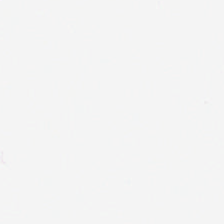Stain: H&E.
Field content: background.
